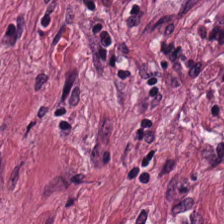Impression → cancer-associated stroma.
